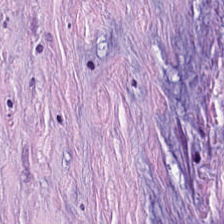Hematoxylin-and-eosin stained section. FFPE — Showing tumor-associated stroma.
